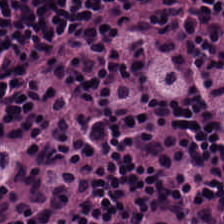H&E stain. Histology — lymphocytic infiltrate.
